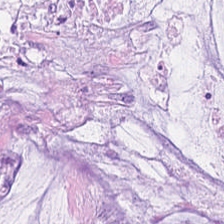Hematoxylin-and-eosin stained section. This field is extracellular mucin.
